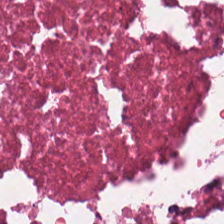H&E · FFPE tissue section. Q: What tissue is shown?
A: The field shows necrotic debris.
